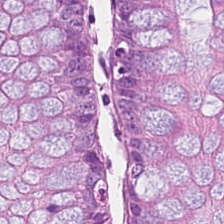FFPE tissue section · 0.5 microns per pixel · H&E stain.
Finding → normal colon mucosa.
